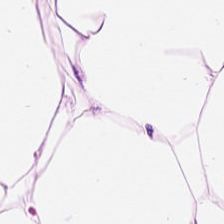0.5 µm/px. H&E-stained tissue section. This field is adipocytes.
